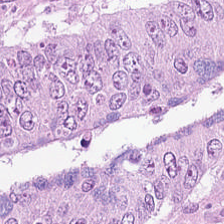FFPE · 0.5 microns per pixel · hematoxylin and eosin.
This patch shows malignant epithelium.
